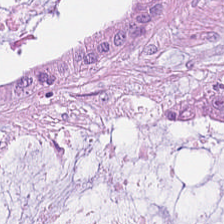{"tissue_type": "extracellular mucin"}
